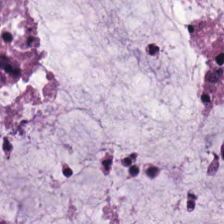Formalin-fixed paraffin-embedded section · hematoxylin-and-eosin stained section · 224×224 pixel tile. Histology → extracellular mucin.
